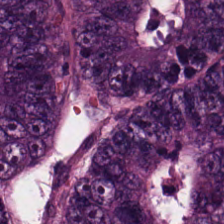Hematoxylin-and-eosin stained section. 224×224 px patch.
Classification = adenocarcinoma.
